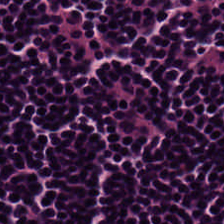Q: Classify this patch.
A: The field shows lymphocytic infiltrate.
